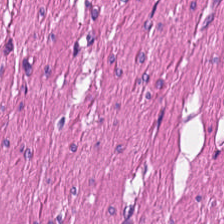Brightfield; H&E stain; FFPE tissue section.
Showing smooth-muscle tissue.
